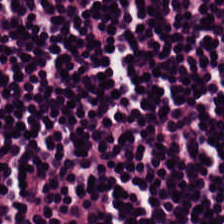Brightfield · FFPE · H&E-stained tissue section.
The tissue here is lymphoid infiltrate.
